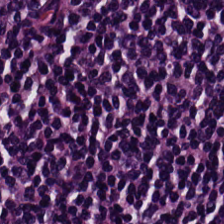Stain: hematoxylin and eosin.
Preparation: formalin-fixed paraffin-embedded section.
Tissue class: lymphocytes.
